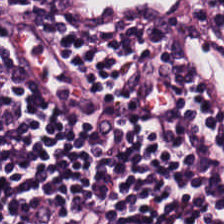Hematoxylin-and-eosin stained section.
{"tissue_type": "lymphocyte aggregate"}
